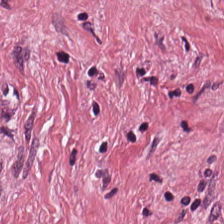Formalin-fixed paraffin-embedded section. Hematoxylin and eosin. Whole-slide-image patch. Tissue class = cancer-associated stroma.
